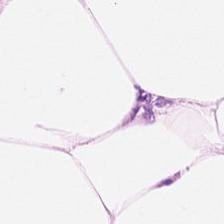H&E-stained section; the field shows adipose.
